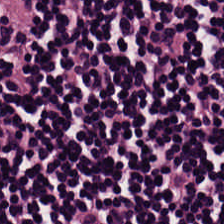H&E-stained tissue section.
{"tissue_type": "lymphoid infiltrate"}
